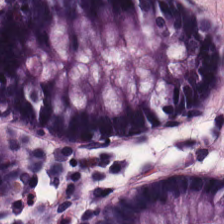Hematoxylin and eosin. Impression → benign colonic mucosa.
